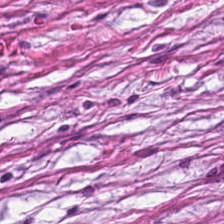Hematoxylin-and-eosin stained section. Q: What type of tissue is this?
A: It is tumor stroma.
